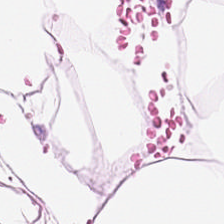Stain: H&E-stained tissue section.
Tissue type: adipose tissue.
